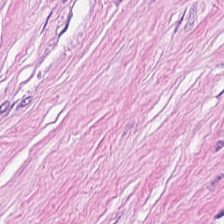Tumor stroma.
